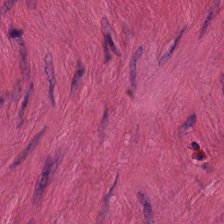H&E-stained tissue section — The tissue type is smooth muscle.
